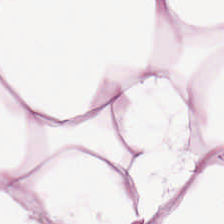H&E-stained tissue section.
Impression → adipocytes.
